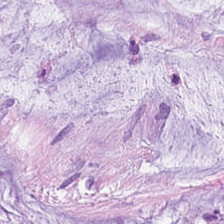0.5 µm per pixel. Hematoxylin-and-eosin stained section. FFPE tissue section.
Q: What is the predominant tissue type?
A: This is extracellular mucin.
